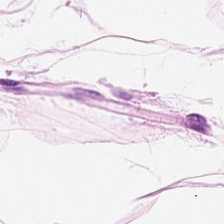H&E. Tissue class: adipose.
